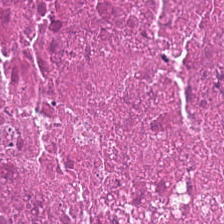Stain: H&E-stained tissue section.
Tissue class: cellular debris.
